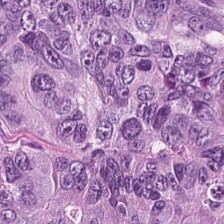20× equivalent magnification. H&E. 224×224 px tile — The tissue here is tumor epithelium.
